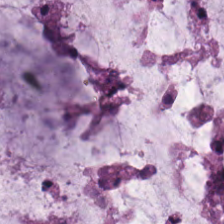H&E stain — Predominant tissue: mucus.
